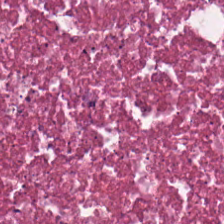H&E-stained tissue section.
Q: What tissue is shown?
A: Necrotic debris.
